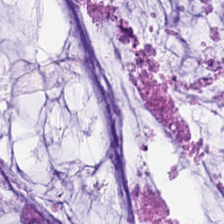Hematoxylin and eosin. This field is mucus.
